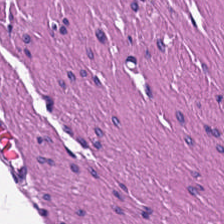Hematoxylin-and-eosin stained section. Predominantly muscularis.
